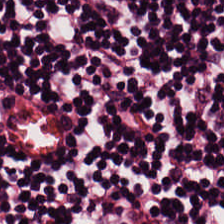Q: What tissue is shown?
A: It is lymphocytic infiltrate.
